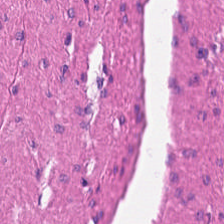Hematoxylin-and-eosin stained section — Q: Classify this patch.
A: It is muscularis.
